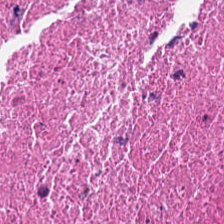Tissue type — debris.
